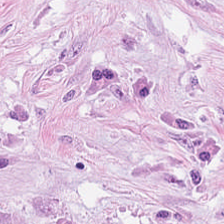H&E. WSI patch.
{"tissue_type": "desmoplastic stroma"}
